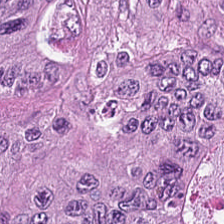This field is colorectal adenocarcinoma epithelium.
